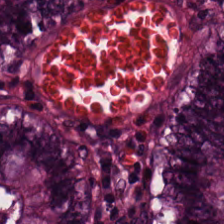Stain: H&E stain.
Preparation: formalin-fixed paraffin-embedded section.
Resolution: 0.5 microns per pixel.
Classification: benign colonic mucosa.
